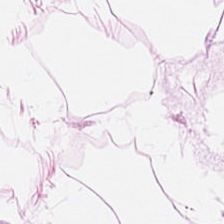H&E-stained tissue section · 20× equivalent magnification · 224×224 px tile. Adipose tissue.
